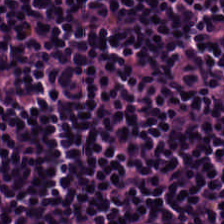H&E-stained tissue section — Q: What is shown here?
A: This is lymphocytic infiltrate.
